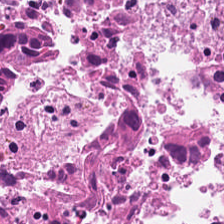{"tissue_type": "debris"}
